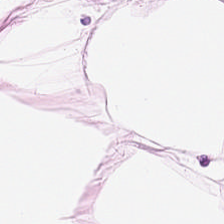Hematoxylin-and-eosin stained section. Showing adipocytes.
